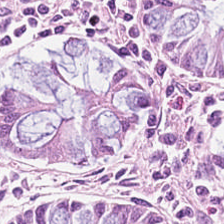Hematoxylin and eosin.
Predominant tissue — normal colon mucosa.
